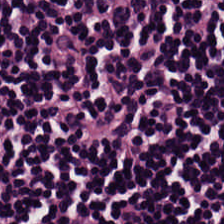The tissue class is lymphocyte aggregate.
